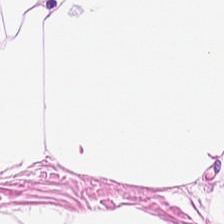Stain: H&E.
Classification: adipocytes.
